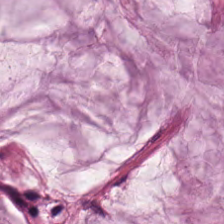H&E-stained tissue section; 224×224 px tile. Tissue type — mucus.
